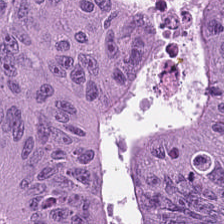Tissue type — adenocarcinoma.
